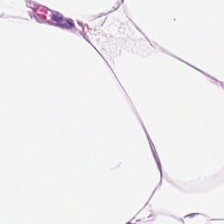H&E stain — Predominant tissue = adipose.
